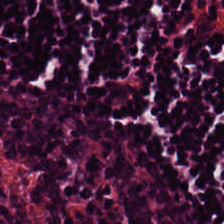Hematoxylin-and-eosin section: lymphocytic infiltrate.
